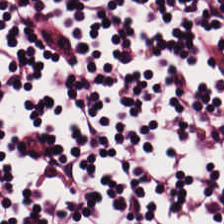H&E patch showing lymphocytes.
